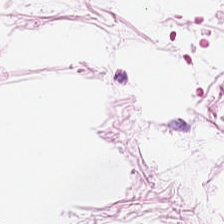The predominant tissue is adipose.
